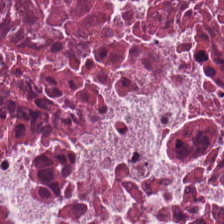H&E-stained tissue section — Predominantly necrotic debris.
